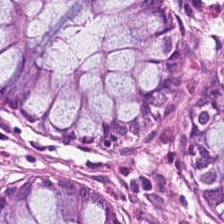Stain: hematoxylin-and-eosin stained section.
Preparation: formalin-fixed paraffin-embedded section.
Tissue class: non-neoplastic colon mucosa.
